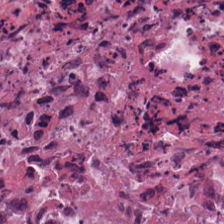H&E-stained tissue section; 0.5 microns per pixel; 224×224 px patch. The predominant tissue is necrotic debris.
